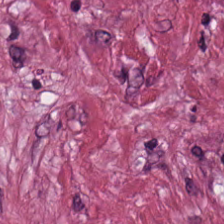H&E-stained tissue section; brightfield microscopy; formalin-fixed paraffin-embedded section.
This patch shows tumor-associated stroma.
